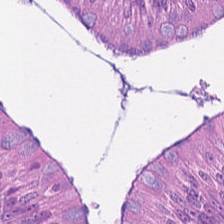224×224 px patch. H&E stain.
Colorectal adenocarcinoma epithelium.
